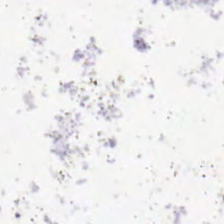The field content is background (no tissue).
